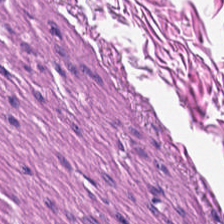Stain: H&E stain.
Classification: smooth-muscle tissue.
